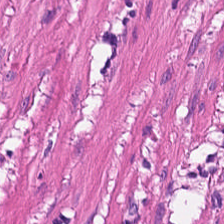Hematoxylin-and-eosin stained section. 0.5 µm/px. 224×224 px tile — Classification: smooth muscle.
